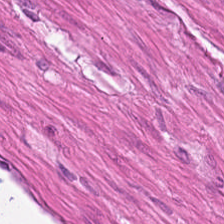H&E stain; brightfield microscopy.
Predominantly smooth-muscle tissue.
